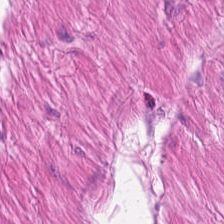Hematoxylin and eosin.
Showing muscularis.
